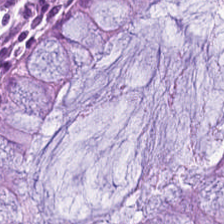Stain: H&E.
Tissue type: non-neoplastic colon mucosa.
